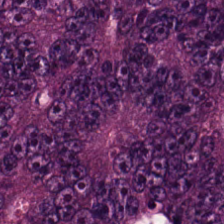Whole-slide-image patch. H&E-stained tissue section.
Finding — adenocarcinoma.
